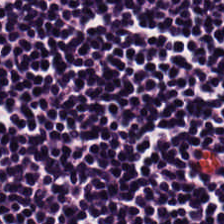224×224 px patch; hematoxylin and eosin. {"tissue_type": "lymphocyte aggregate"}
